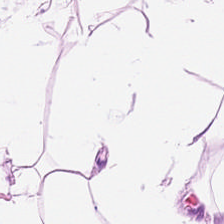H&E. {"tissue_type": "adipose"}
